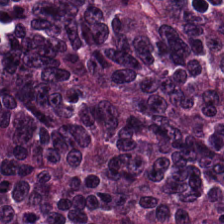H&E stain.
Predominantly colorectal adenocarcinoma.
